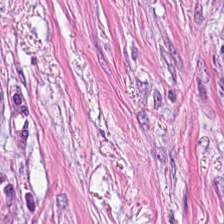H&E.
This field is tumor stroma.
